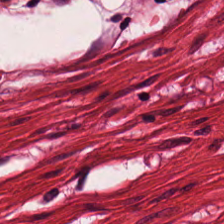0.5 µm/px · H&E stain.
This field is smooth-muscle tissue.
